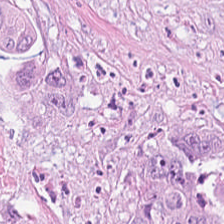Hematoxylin-and-eosin stained section.
The predominant tissue is malignant epithelium.
